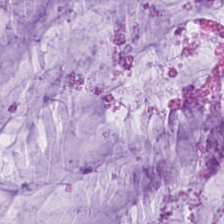Hematoxylin-and-eosin stained section; WSI patch.
Q: What is the predominant tissue type?
A: Extracellular mucin.
